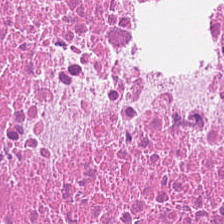The tissue type is debris.
